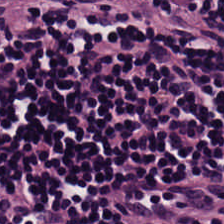Hematoxylin and eosin.
This field is lymphoid infiltrate.
